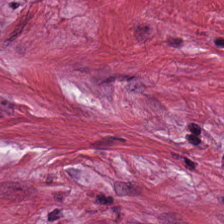Tissue — tumor stroma.
